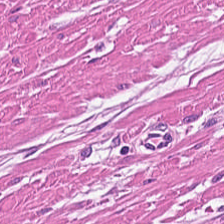Hematoxylin-and-eosin stained section — Finding → smooth-muscle tissue.
